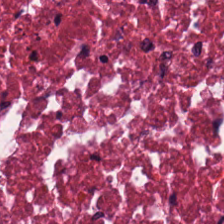H&E-stained tissue section — The tissue here is cellular debris.
